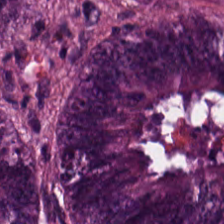Hematoxylin-and-eosin stained section — Q: What is shown in this field?
A: The field shows colorectal adenocarcinoma epithelium.
